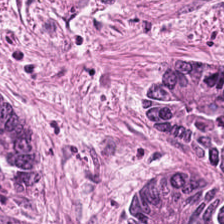Hematoxylin-and-eosin stained section.
Q: Classify this patch.
A: It is colorectal adenocarcinoma.
